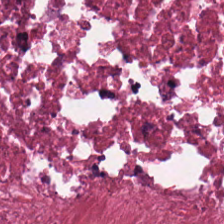Q: Identify the tissue.
A: The field shows debris.
